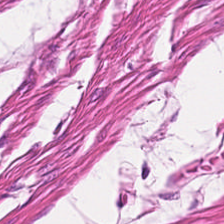Hematoxylin-and-eosin stained section.
Histology → smooth-muscle tissue.
